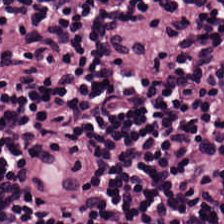This field is lymphocytes.
